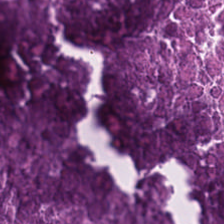Hematoxylin and eosin; whole-slide-image patch; 0.5 microns per pixel — Showing debris.
